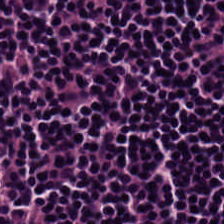H&E-stained tissue section. This field is lymphocytes.
